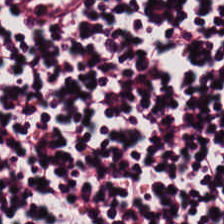Hematoxylin and eosin — Q: What does this patch show?
A: It is lymphoid infiltrate.
